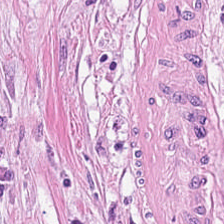Stain: H&E.
Tissue: cancer-associated stroma.
